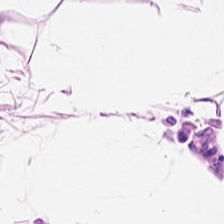This patch shows adipocytes.
